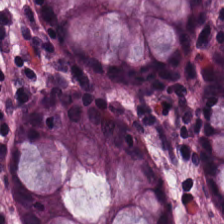H&E-stained tissue section — This field is normal colon mucosa.
